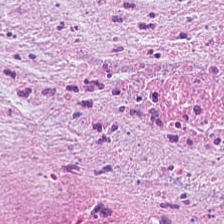FFPE; hematoxylin and eosin; 0.5 µm per pixel.
{"tissue_type": "tumor stroma"}
